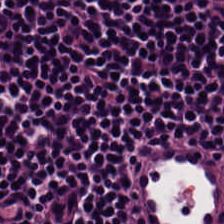H&E-stained section; the field shows lymphocyte aggregate.
